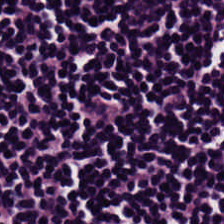Predominant tissue — lymphocytic infiltrate.
